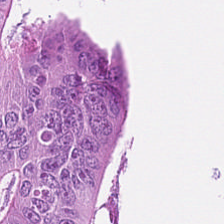H&E stain. The tissue class is adenocarcinoma.
